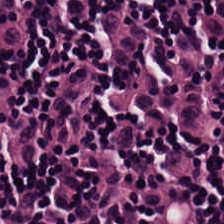224×224 pixel tile. Hematoxylin-and-eosin stained section.
The tissue type is lymphocytic infiltrate.
